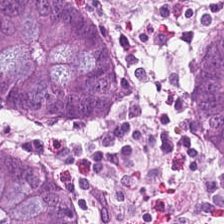H&E stain — The classification is non-neoplastic colon mucosa.
